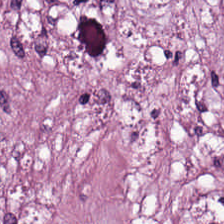Hematoxylin and eosin.
{"tissue_type": "desmoplastic stroma"}
